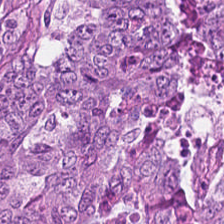H&E-stained tissue section. The predominant tissue is malignant epithelium.
